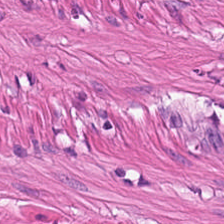H&E — Impression → smooth muscle.
